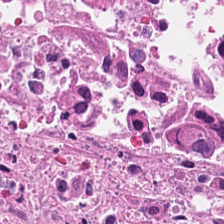{"tissue_type": "necrotic debris"}
